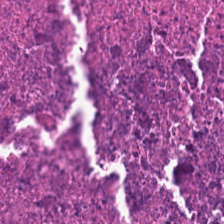Q: Identify the tissue.
A: This is necrotic debris.
